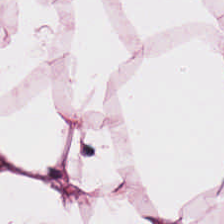224×224 pixel tile · hematoxylin and eosin. Predominantly adipose.
